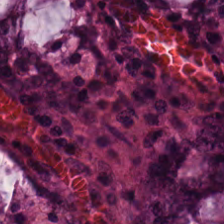224×224 pixel tile; 0.5 µm/px; hematoxylin-and-eosin stained section — The predominant tissue is normal colon mucosa.
